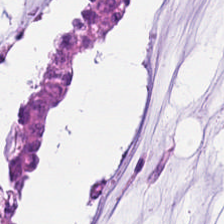20× equivalent magnification. H&E-stained tissue section. The tissue here is mucin.
